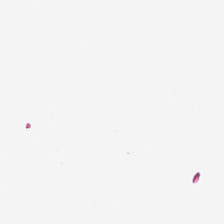Hematoxylin and eosin — Background.
